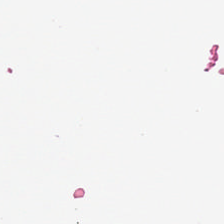Empty field — no tissue.
